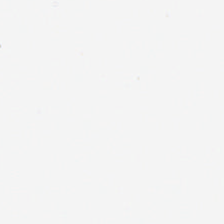Stain: H&E-stained tissue section.
Tile size: 224×224 px patch.
Classification: background.
